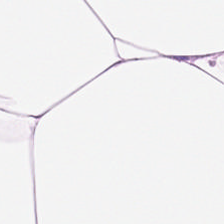Histology → adipocytes.
